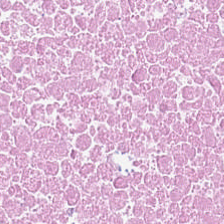H&E-stained tissue section.
{"tissue_type": "necrotic debris"}
